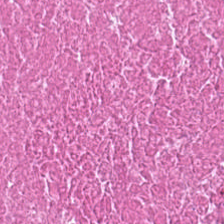Hematoxylin and eosin; 0.5 µm per pixel — This field is debris.
